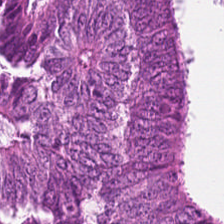Tissue class = colorectal adenocarcinoma epithelium.
